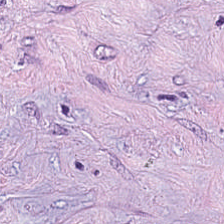H&E stain.
This field is tumor-associated stroma.
